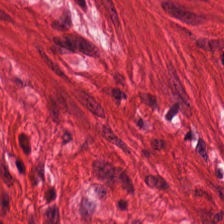0.5 microns per pixel · hematoxylin and eosin · FFPE — The predominant tissue is smooth muscle.
